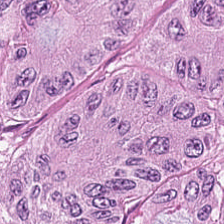H&E-stained tissue section. Q: Identify the tissue.
A: Colorectal adenocarcinoma epithelium.
